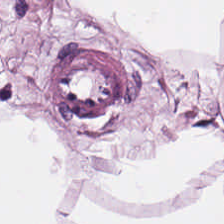H&E-stained tissue section. This patch shows adipose tissue.
